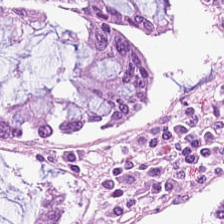The predominant tissue is benign colonic mucosa.
